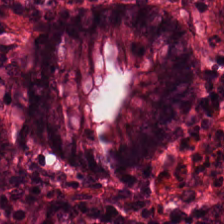Tissue = normal colon mucosa.
